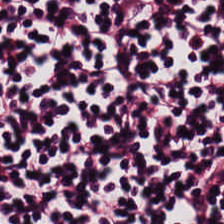Q: What is shown here?
A: Lymphocytic infiltrate.
